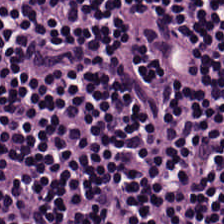H&E stain; 0.5 µm/px; FFPE tissue section — Classification = lymphocyte aggregate.
